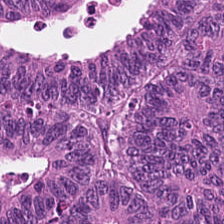H&E-stained tissue section. The predominant tissue is colorectal adenocarcinoma epithelium.
